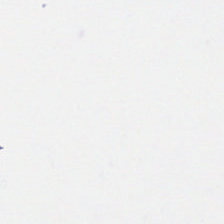224×224 pixel tile; hematoxylin and eosin. Q: What does this patch show?
A: The field shows background (no tissue).
